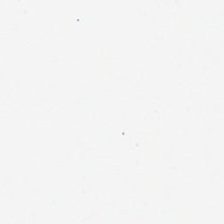Hematoxylin-and-eosin stained section. FFPE. Empty field — empty background.
